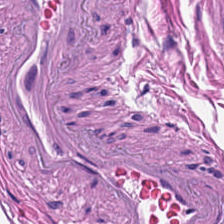Formalin-fixed paraffin-embedded section. Hematoxylin and eosin. 224×224 px tile.
Impression — smooth-muscle tissue.
